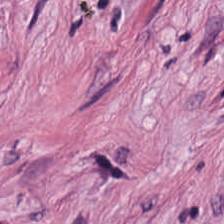H&E stain. Tissue type = tumor stroma.
